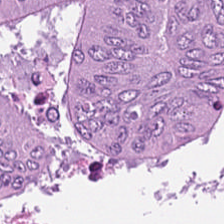H&E. 0.5 µm/px — This patch shows colorectal adenocarcinoma epithelium.
